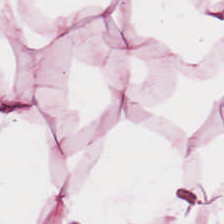Hematoxylin-and-eosin stained section. Showing adipose.
